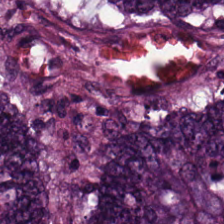H&E stain.
Histology — colorectal adenocarcinoma.
